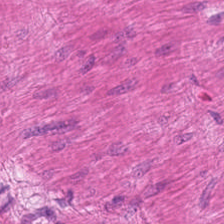Stain: H&E-stained tissue section.
Predominant tissue: smooth muscle.
